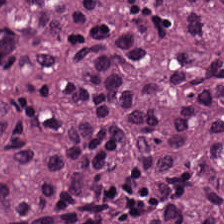The tissue type is colorectal adenocarcinoma epithelium.
